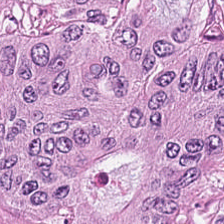FFPE tissue section; H&E stain.
Classification = adenocarcinoma.
